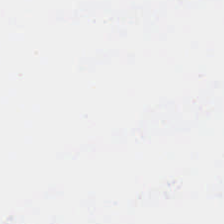Whole-slide-image patch · H&E-stained tissue section — Background (no tissue).
